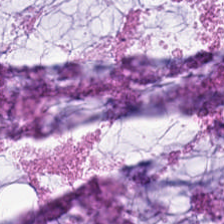Hematoxylin-and-eosin stained section. The tissue type is mucus.
